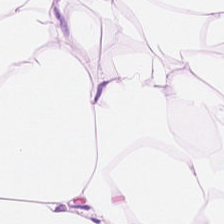0.5 µm per pixel. H&E — Q: Identify the tissue.
A: Adipocytes.
